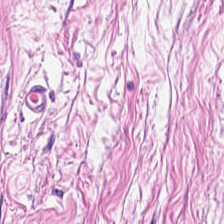Tissue type: cancer-associated stroma.
